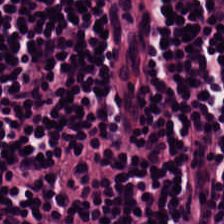H&E. Brightfield — Tissue — lymphocytes.
